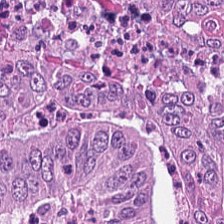Hematoxylin and eosin.
Q: What does this patch show?
A: The field shows tumor epithelium.
